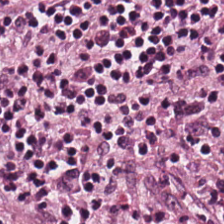H&E stain. 0.5 microns per pixel. Showing lymphocytic infiltrate.
